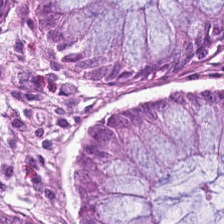Stain: H&E stain.
Tissue class: normal colonic mucosa.
